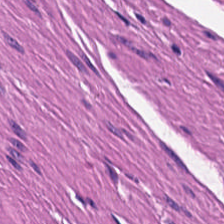224×224 px tile; hematoxylin-and-eosin stained section; brightfield. The tissue here is smooth muscle.
